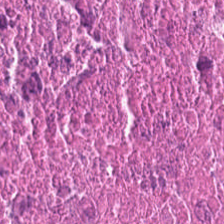0.5 µm/px · hematoxylin-and-eosin stained section — The classification is debris.
